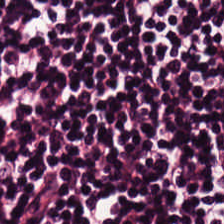Hematoxylin and eosin; 224×224 pixel tile.
Showing lymphoid infiltrate.
